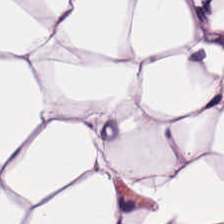H&E · 224×224 pixel tile · 0.5 microns per pixel — This patch shows adipose.
